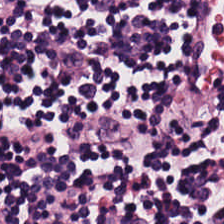Predominantly lymphocytes.
